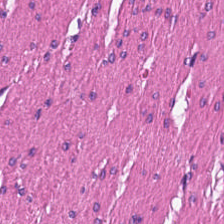Hematoxylin-and-eosin stained section. The tissue is smooth-muscle tissue.
